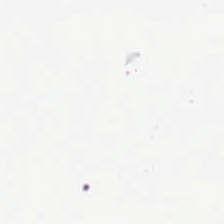H&E-stained tissue section. This field is background (no tissue).
